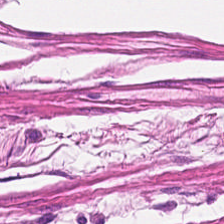224×224 pixel tile; hematoxylin and eosin — Smooth muscle.
